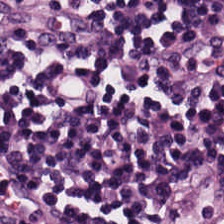Whole-slide-image patch. H&E-stained tissue section.
Histology → lymphocytic infiltrate.
